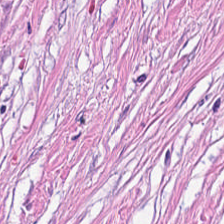H&E stain. Q: What is shown in this field?
A: Tumor-associated stroma.
